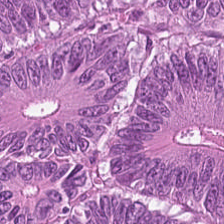H&E patch showing adenocarcinoma.
